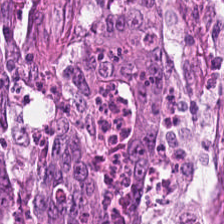H&E stain. Q: What is the predominant tissue type?
A: The field shows colorectal adenocarcinoma.
